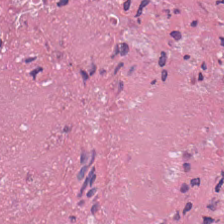H&E-stained section; the field shows cellular debris.
